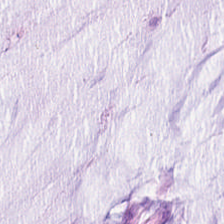Predominant tissue — extracellular mucin.
